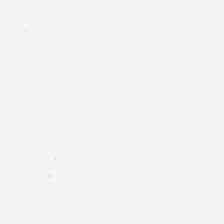Stain: H&E.
Content: no tissue.
